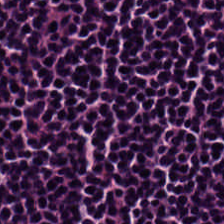H&E stain · formalin-fixed paraffin-embedded section — Q: Identify the tissue.
A: This is lymphocytes.
